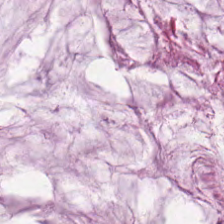FFPE tissue section; 224×224 px patch; H&E-stained tissue section.
This field is mucus.
